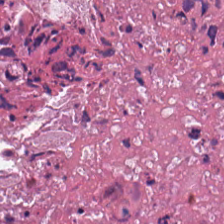H&E-stained tissue section — Finding → cellular debris.
